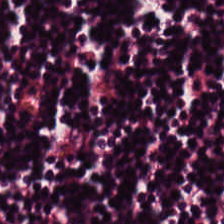Brightfield microscopy; hematoxylin-and-eosin stained section; 224×224 px tile.
The predominant tissue is lymphoid infiltrate.
